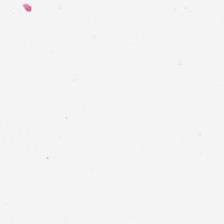Hematoxylin and eosin. Background.
